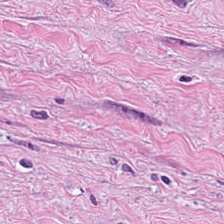20× equivalent magnification; H&E stain. Tissue type = tumor-associated stroma.
